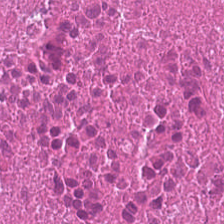H&E; 0.5 µm/px — Predominantly debris.
